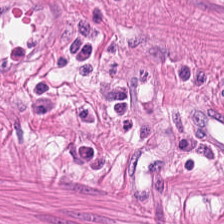Hematoxylin and eosin. Predominant tissue — smooth muscle.
